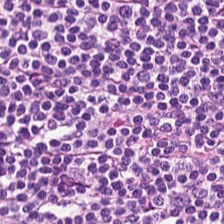Hematoxylin-and-eosin stained section. 224×224 px tile. Showing lymphoid infiltrate.
